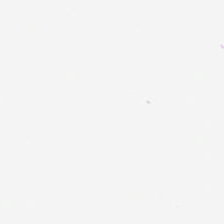Hematoxylin-and-eosin stained section. Classification: empty background.
